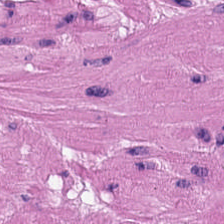224×224 pixel tile. H&E-stained tissue section — Tissue class = smooth-muscle tissue.
